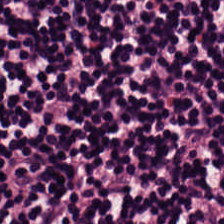Brightfield; H&E-stained tissue section; formalin-fixed paraffin-embedded section — Lymphocytes.
